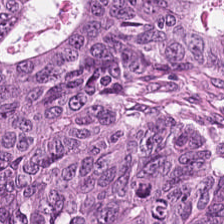H&E-stained tissue section — The tissue here is adenocarcinoma.
